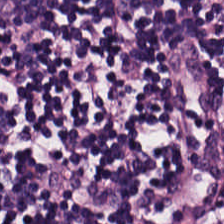H&E stain. Q: What is shown in this field?
A: The field shows lymphocyte aggregate.
